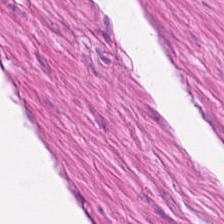Whole-slide-image patch. H&E. FFPE.
The classification is muscularis.
